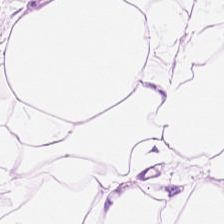224×224 pixel tile · hematoxylin-and-eosin stained section — The predominant tissue is adipocytes.
